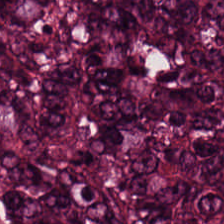FFPE · H&E-stained tissue section. Q: Identify the tissue.
A: Tumor epithelium.
